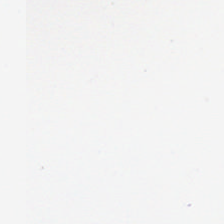This field is background (no tissue).
